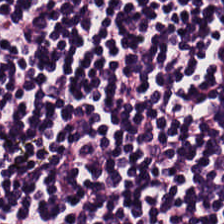H&E-stained tissue section. The predominant tissue is lymphocytes.
